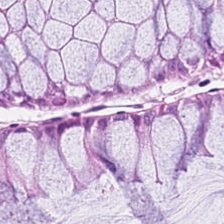224×224 px patch; formalin-fixed paraffin-embedded section; hematoxylin-and-eosin stained section — Predominantly normal colonic mucosa.
